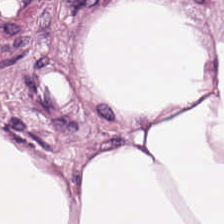Hematoxylin-and-eosin stained section · whole-slide-image patch — This field is adipose.
